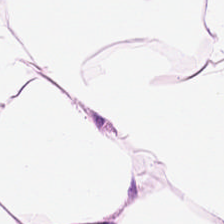Hematoxylin-and-eosin stained section.
Q: What is shown in this field?
A: Adipose.
